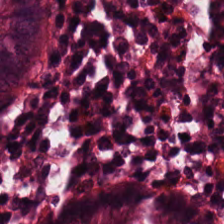Hematoxylin and eosin.
Classification: normal colonic mucosa.
